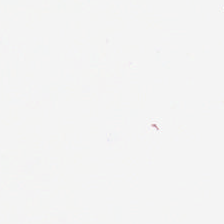Hematoxylin and eosin — Impression → background (no tissue).
